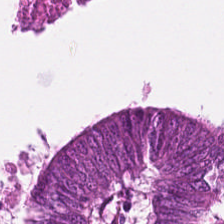FFPE tissue section; H&E-stained tissue section.
Tissue: colorectal adenocarcinoma.
